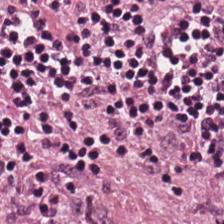H&E — The tissue type is lymphocytic infiltrate.
